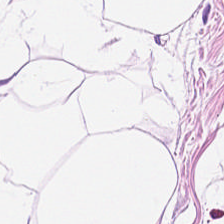Whole-slide-image patch · hematoxylin-and-eosin stained section — {"tissue_type": "adipose tissue"}
